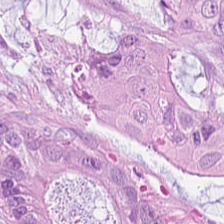Whole-slide-image patch; H&E — Classification: tumor epithelium.
